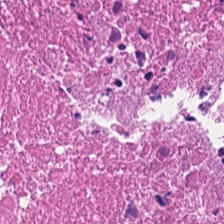H&E-stained tissue section.
This field is debris.
